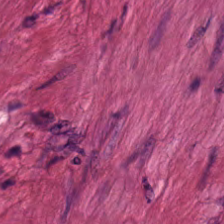H&E stain — Q: Classify this patch.
A: It is smooth-muscle tissue.
